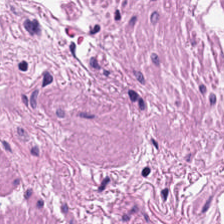Q: Identify the tissue.
A: It is smooth muscle.
